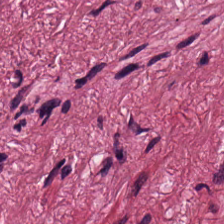224×224 px tile; hematoxylin and eosin; FFPE tissue section. Tissue class — cancer-associated stroma.
